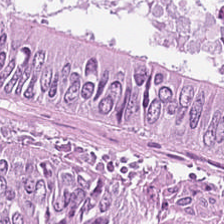H&E-stained tissue section.
Tissue class = tumor epithelium.
